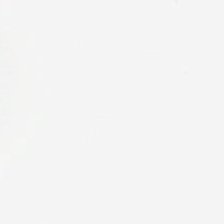H&E stain; brightfield; 20× equivalent magnification.
No tissue present; background only.
